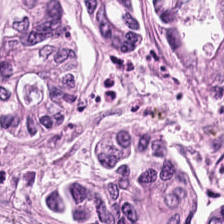Impression — colorectal adenocarcinoma.
